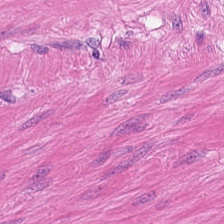This field is smooth muscle.
